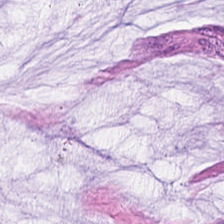H&E-stained tissue section. Showing mucin.
